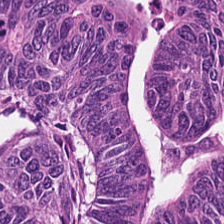Predominantly colorectal adenocarcinoma.
